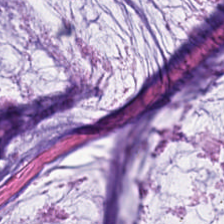Hematoxylin and eosin; 224×224 pixel tile; FFPE.
Finding — mucin.
